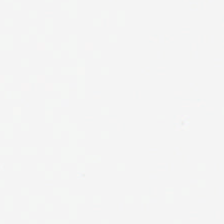No tissue present; background only.
